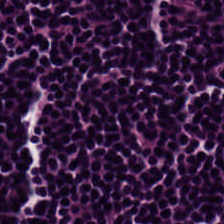Whole-slide-image patch · H&E — Lymphocyte aggregate.
